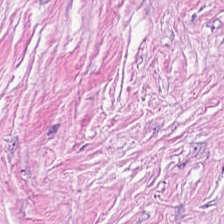Stain: hematoxylin and eosin.
Preparation: FFPE tissue section.
Resolution: 0.5 µm per pixel.
Tissue type: tumor-associated stroma.
